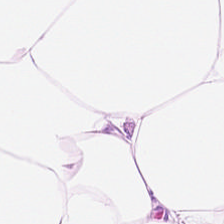H&E stain.
{"tissue_type": "adipocytes"}
